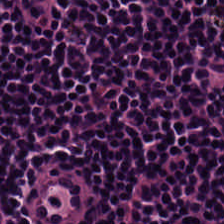Stain: H&E-stained tissue section.
Classification: lymphocytic infiltrate.
